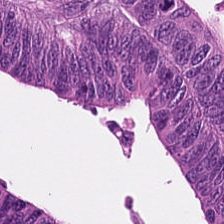0.5 µm/px; H&E. Histology — tumor epithelium.
